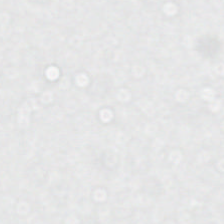Field content — background.
